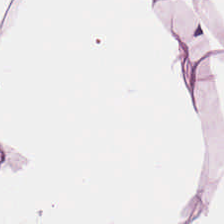H&E-stained tissue section — This field is fat tissue.
